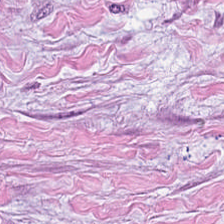H&E-stained tissue section. This field is tumor stroma.
